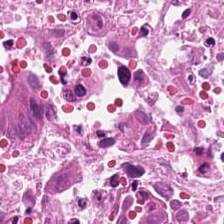Q: What is the predominant tissue type?
A: Debris.
